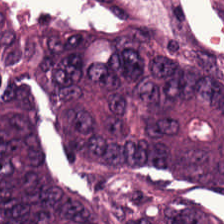H&E.
Tissue = colorectal adenocarcinoma.
